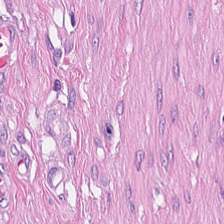Brightfield; H&E-stained tissue section. The tissue type is tumor stroma.
